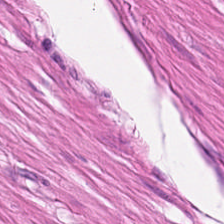Smooth-muscle tissue.
